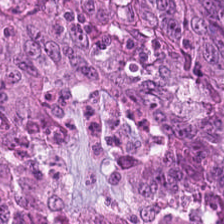H&E-stained tissue section.
Finding — tumor epithelium.
